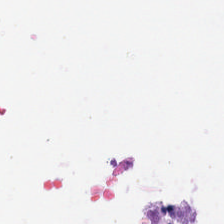H&E-stained tissue section · FFPE tissue section. Background — no tissue in this field.
